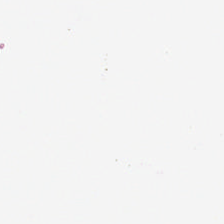H&E. Field content: empty background.
